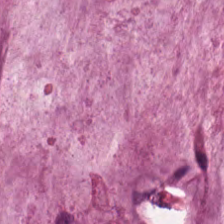Tissue class: mucin.
